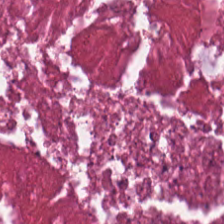224×224 pixel tile. H&E stain — This patch shows debris.
